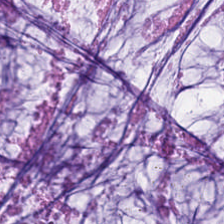Stain: hematoxylin and eosin.
Tissue class: mucus.
